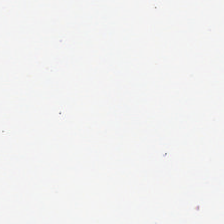This field is background (no tissue).
